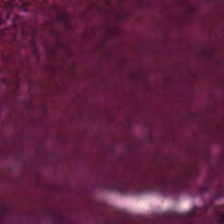Hematoxylin-and-eosin stained section. Q: Classify this patch.
A: This is debris.
